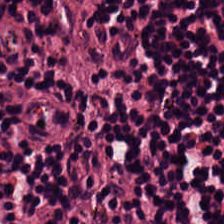H&E stain — Predominant tissue: lymphocytes.
